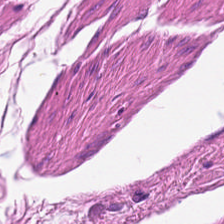Hematoxylin-and-eosin stained section. The tissue here is smooth muscle.
